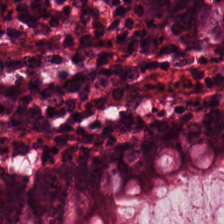Hematoxylin-and-eosin stained section. Predominantly normal colonic mucosa.
